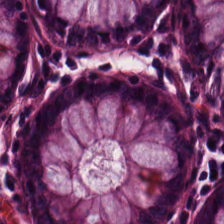Hematoxylin-and-eosin stained section.
The tissue here is benign colonic mucosa.
